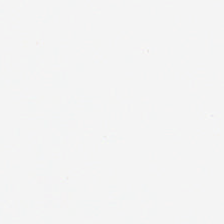Hematoxylin and eosin.
Finding → empty background.
